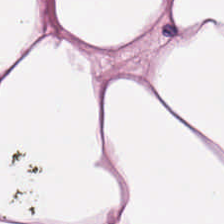Stain: H&E.
Acquisition: WSI patch.
Tissue class: adipose.
